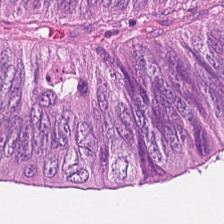Tissue: malignant epithelium.
